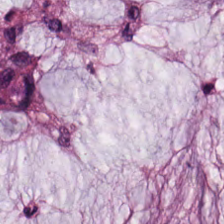Finding → mucin.
